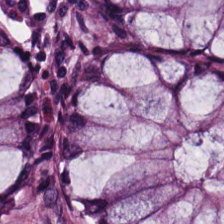Hematoxylin and eosin. FFPE tissue section — Classification — normal colonic mucosa.
